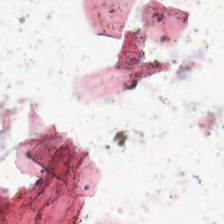H&E-stained tissue section.
This patch shows background.
